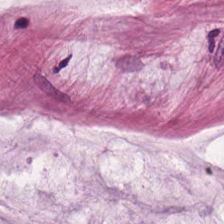H&E-stained tissue section. 0.5 microns per pixel. Brightfield.
This field is extracellular mucin.
